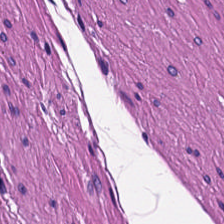Stain: hematoxylin-and-eosin stained section.
Tissue class: smooth-muscle tissue.
